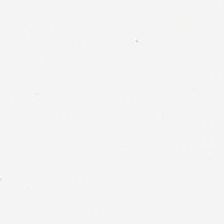Stain: H&E.
Classification: background.
